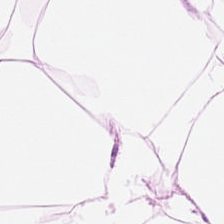20× equivalent magnification · H&E · 224×224 pixel tile. Q: Classify this patch.
A: The field shows adipocytes.
